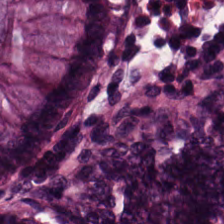224×224 px patch; H&E; WSI patch.
Tissue = benign colonic mucosa.
